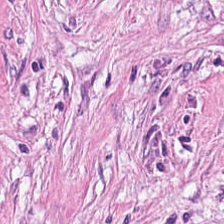Stain: H&E stain.
Resolution: 0.5 µm/px.
Acquisition: brightfield microscopy.
Classification: tumor stroma.
